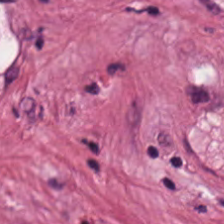Impression → cancer-associated stroma.
